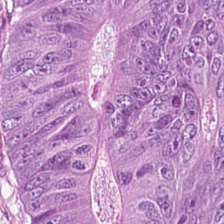Stain: hematoxylin and eosin.
Preparation: formalin-fixed paraffin-embedded section.
Resolution: 0.5 microns per pixel.
Tissue: adenocarcinoma.
